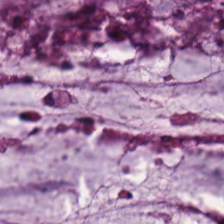0.5 µm/px; FFPE tissue section; hematoxylin-and-eosin stained section — The tissue here is extracellular mucin.
